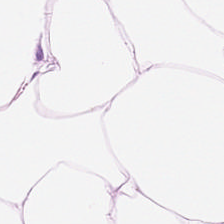224×224 px patch. Hematoxylin-and-eosin stained section. Histology → adipose.
